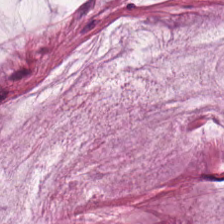Finding → extracellular mucin.
